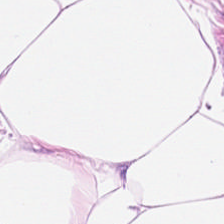H&E-stained tissue section. Predominantly adipocytes.
